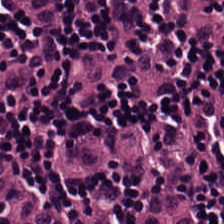H&E-stained tissue section; 224×224 pixel tile; formalin-fixed paraffin-embedded section.
Tissue class = lymphocytes.
